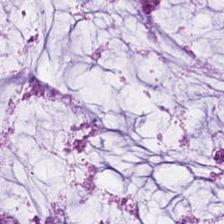Hematoxylin and eosin.
Showing extracellular mucin.
